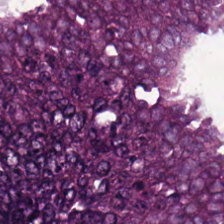H&E — Q: What does this patch show?
A: Malignant epithelium.
